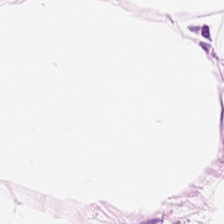224×224 pixel tile. H&E stain.
Adipose tissue.
